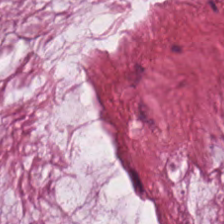FFPE. H&E-stained tissue section.
Classification: mucus.
